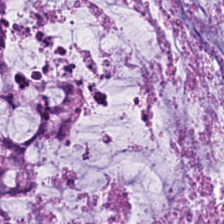H&E · brightfield. Classification — extracellular mucin.
